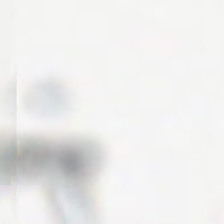Stain: H&E.
Tile size: 224×224 pixel tile.
Classification: empty background.
